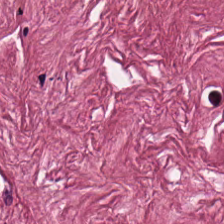Stain: H&E.
Acquisition: whole-slide-image patch.
Tile size: 224×224 pixel tile.
Tissue class: tumor-associated stroma.
